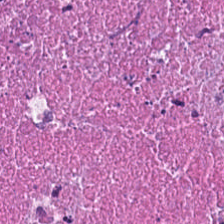Stain: H&E-stained tissue section.
Tissue: necrotic debris.
